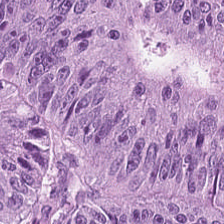Hematoxylin-and-eosin stained section — Q: What type of tissue is this?
A: It is adenocarcinoma.
